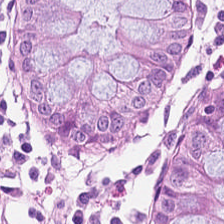H&E-stained tissue section — Impression — normal colon mucosa.
